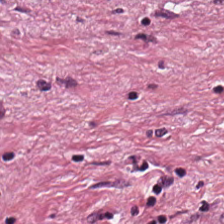Hematoxylin-and-eosin stained section. Q: Identify the tissue.
A: It is desmoplastic stroma.
